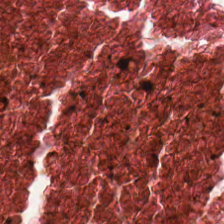FFPE tissue section · hematoxylin-and-eosin stained section.
Classification: cellular debris.
